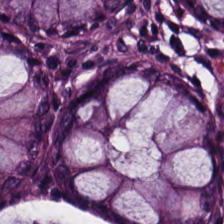Hematoxylin-and-eosin section: normal colonic mucosa.
